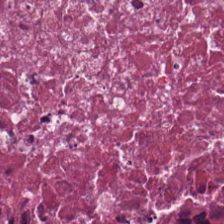Brightfield · formalin-fixed paraffin-embedded section · hematoxylin and eosin — Q: What is shown here?
A: The field shows debris.
